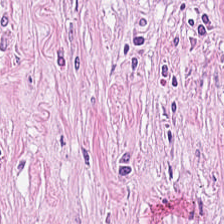H&E-stained tissue section — Histology → tumor stroma.
